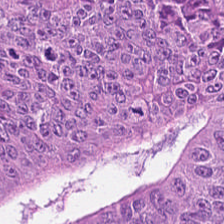Q: What is the predominant tissue type?
A: The field shows adenocarcinoma.
